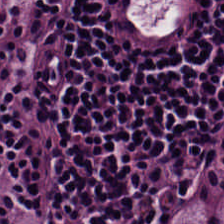H&E; 224×224 px tile. Classification: lymphoid infiltrate.
